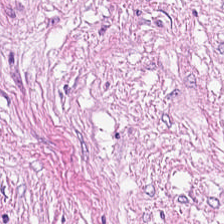The predominant tissue is tumor-associated stroma.
